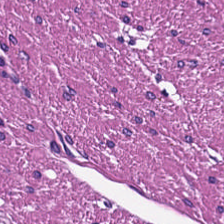H&E stain. 20× equivalent magnification.
The classification is smooth-muscle tissue.
